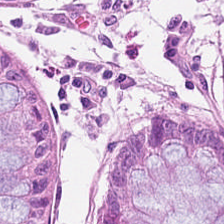H&E-stained tissue section. Classification — normal colonic mucosa.
